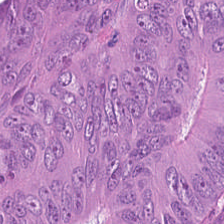H&E stain.
Showing adenocarcinoma.
